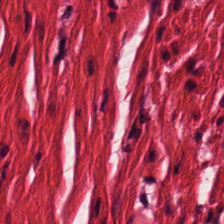Hematoxylin and eosin. Smooth muscle.
